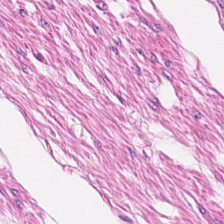0.5 µm per pixel; brightfield microscopy; H&E-stained tissue section. Tissue type = smooth-muscle tissue.
